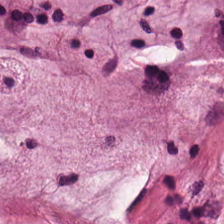Stain: H&E.
Preparation: FFPE.
Acquisition: WSI patch.
Predominant tissue: mucin.
